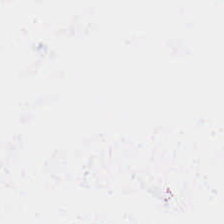H&E-stained tissue section; brightfield microscopy; 0.5 µm/px. Impression → empty background.
